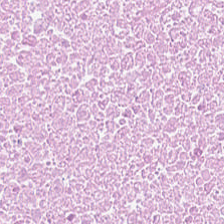H&E stain; formalin-fixed paraffin-embedded section. This patch shows cellular debris.
